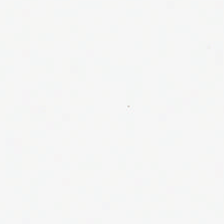H&E-stained tissue section · 0.5 microns per pixel — The classification is empty background.
